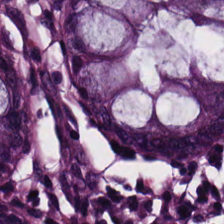H&E. FFPE. WSI patch — Finding — normal colon mucosa.
